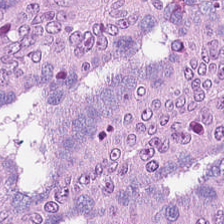The tissue here is colorectal adenocarcinoma epithelium.
